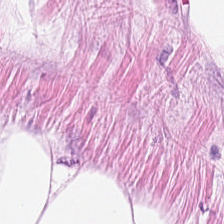This field is adipose tissue.
